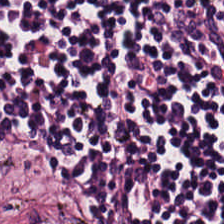H&E. Classification: lymphoid infiltrate.
